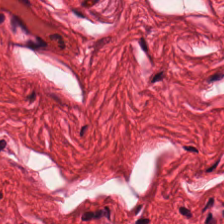Hematoxylin and eosin.
Q: What is shown in this field?
A: Smooth-muscle tissue.
